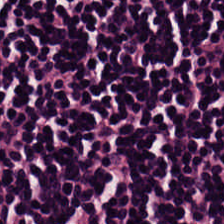H&E.
This patch shows lymphoid infiltrate.
